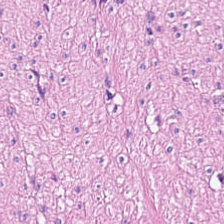Stain: H&E.
Tissue class: smooth muscle.
